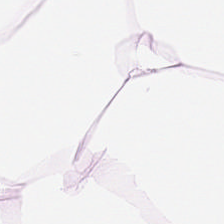Hematoxylin and eosin — {"tissue_type": "adipose"}
